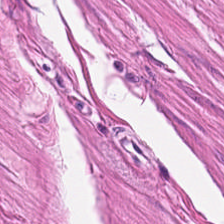Hematoxylin and eosin. 0.5 µm/px.
Showing smooth muscle.
